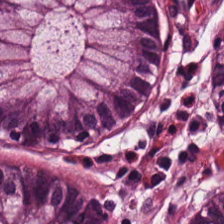H&E — Finding → benign colonic mucosa.
